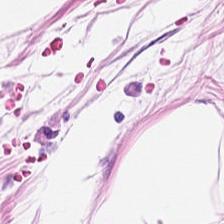FFPE tissue section · H&E-stained tissue section.
The tissue is adipose.
